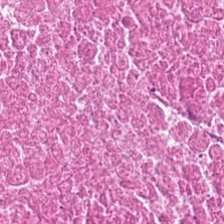H&E stain — Impression — necrotic debris.
